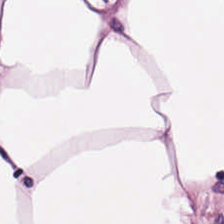H&E-stained tissue section.
Tissue class: adipose tissue.
